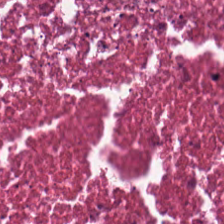Hematoxylin and eosin. Predominant tissue — cellular debris.
